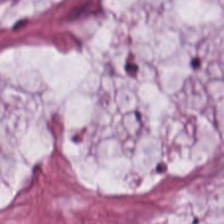Stain: hematoxylin and eosin.
Tissue: extracellular mucin.
